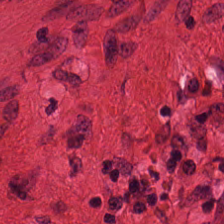Hematoxylin-and-eosin stained section. Predominant tissue = muscularis.
